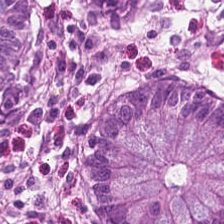Q: What tissue is shown?
A: Non-neoplastic colon mucosa.
